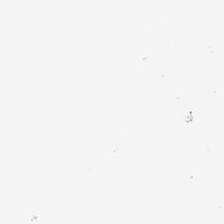Hematoxylin-and-eosin stained section. 0.5 µm per pixel. 224×224 px patch. Q: What is shown in this field?
A: Background (no tissue).
